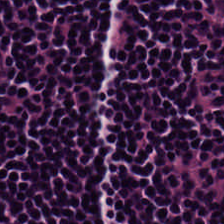Tissue type — lymphoid infiltrate.
